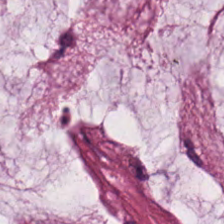H&E — Tissue class: extracellular mucin.
